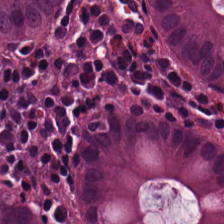H&E — Q: Classify this patch.
A: It is normal colonic mucosa.
